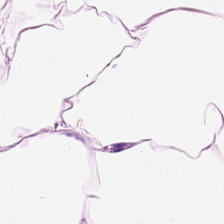Q: What is shown in this field?
A: This is fat tissue.
